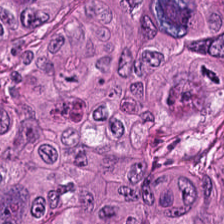Stain: hematoxylin-and-eosin stained section.
Acquisition: WSI patch.
Classification: colorectal adenocarcinoma.
